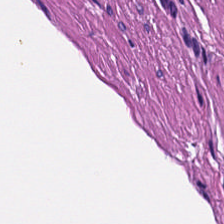Stain: H&E.
Resolution: 0.5 µm/px.
Acquisition: brightfield microscopy.
Classification: smooth-muscle tissue.
